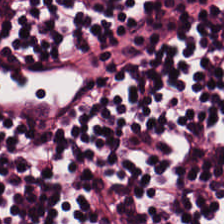Stain: hematoxylin and eosin.
Resolution: 0.5 µm per pixel.
Predominant tissue: lymphoid infiltrate.
